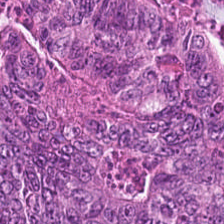224×224 px patch · brightfield microscopy · H&E-stained tissue section.
The tissue here is adenocarcinoma.
